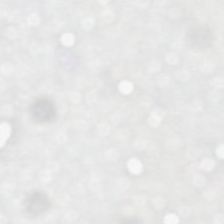Hematoxylin and eosin — The content is background (no tissue).
